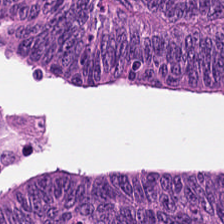H&E-stained tissue section. Predominantly tumor epithelium.
